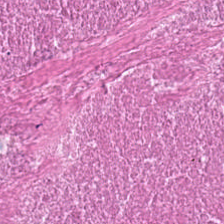H&E — necrotic debris.
